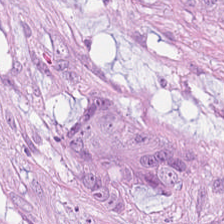Tissue class = colorectal adenocarcinoma.
